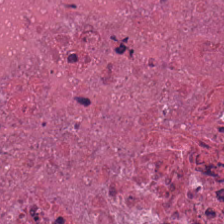H&E. FFPE tissue section. Whole-slide-image patch — Showing debris.
